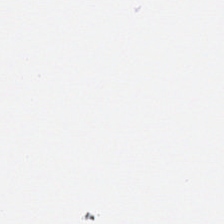FFPE tissue section; H&E-stained tissue section — Impression → background.
